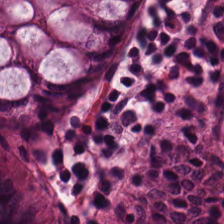Hematoxylin-and-eosin stained section. 224×224 px patch.
Q: What does this patch show?
A: It is benign colonic mucosa.
